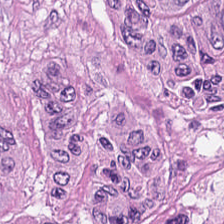Hematoxylin and eosin · FFPE · WSI patch.
Predominant tissue — malignant epithelium.
